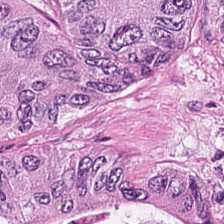Colorectal adenocarcinoma epithelium.
